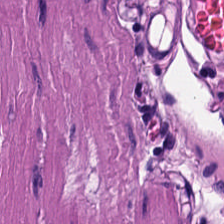H&E-stained tissue section · 224×224 px patch.
Q: What type of tissue is this?
A: This is smooth muscle.
